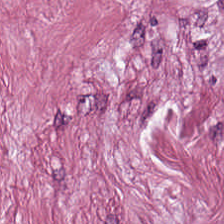Stain: hematoxylin-and-eosin stained section.
Tissue type: tumor-associated stroma.
